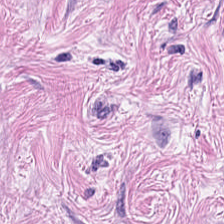Stain: H&E.
Predominant tissue: cancer-associated stroma.
